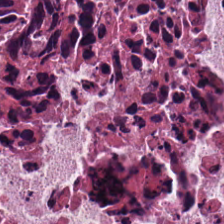Hematoxylin-and-eosin section: necrotic debris.
